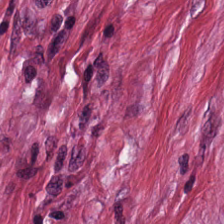Hematoxylin and eosin.
Q: What is shown in this field?
A: It is tumor stroma.
